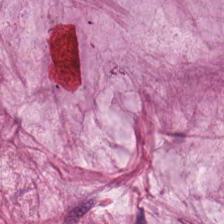Hematoxylin and eosin · 20× equivalent magnification. Q: What does this patch show?
A: The field shows mucus.
